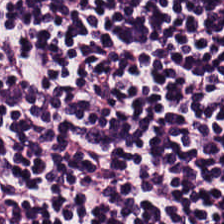H&E-stained tissue section.
The tissue here is lymphoid infiltrate.
